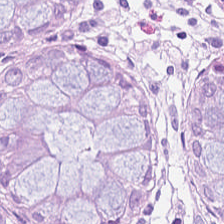Hematoxylin-and-eosin section: benign colonic mucosa.
